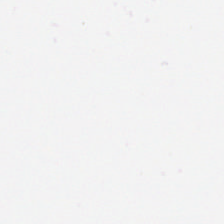Hematoxylin-and-eosin stained section; FFPE tissue section.
{"content": "background"}
